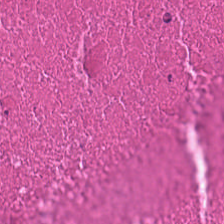Finding → debris.
